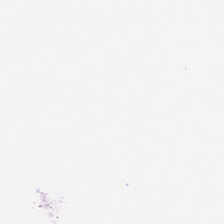Brightfield microscopy · hematoxylin-and-eosin stained section — No tissue present; background only.
